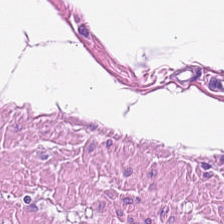Hematoxylin-and-eosin stained section. Muscularis.
